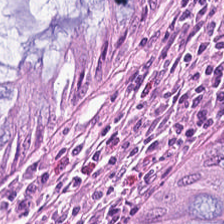Histology → normal colonic mucosa.
